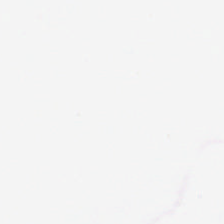Hematoxylin-and-eosin stained section.
The content is background.
